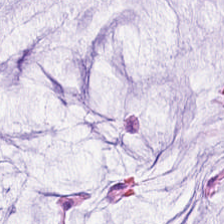H&E stain.
Q: What type of tissue is this?
A: It is extracellular mucin.
